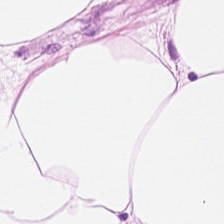WSI patch. Hematoxylin-and-eosin stained section.
Tissue — fat tissue.
